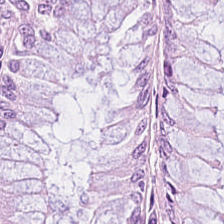Hematoxylin and eosin.
{"tissue_type": "benign colonic mucosa"}
